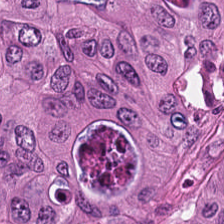Q: What does this patch show?
A: The field shows tumor epithelium.
